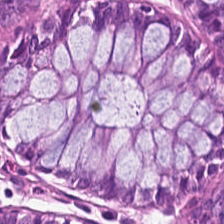Hematoxylin-and-eosin section: benign colonic mucosa.
